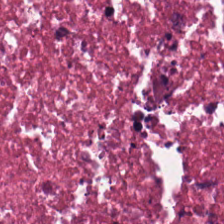H&E. 0.5 µm per pixel. Brightfield microscopy.
{"tissue_type": "necrotic debris"}
